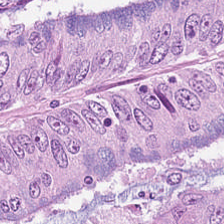Classification = adenocarcinoma.
